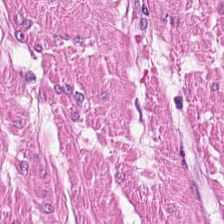H&E-stained tissue section; formalin-fixed paraffin-embedded section; 224×224 px patch. Smooth-muscle tissue.
